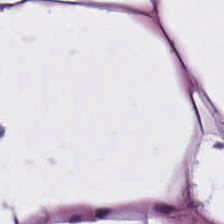Hematoxylin-and-eosin stained section. 224×224 pixel tile — This patch shows fat tissue.
